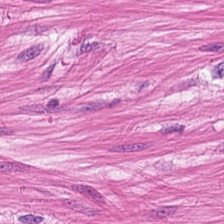Smooth-muscle tissue.
